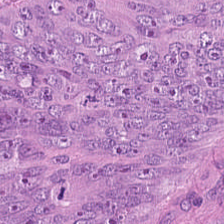Brightfield microscopy · 224×224 px patch · H&E-stained tissue section. Tissue class — colorectal adenocarcinoma epithelium.
